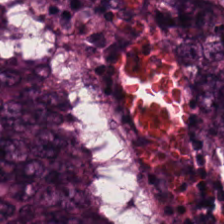The predominant tissue is malignant epithelium.
